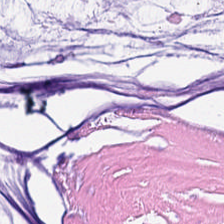Stain: hematoxylin-and-eosin stained section.
Tissue: mucin.
